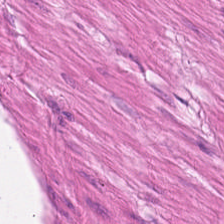Hematoxylin-and-eosin stained section — Finding — smooth muscle.
